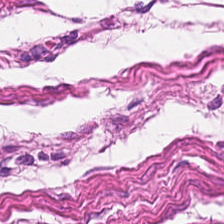H&E. Showing smooth muscle.
